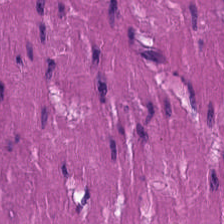Impression → smooth muscle.
